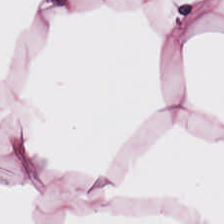Stain: H&E stain.
Classification: adipose.
